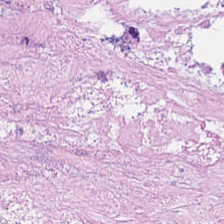FFPE tissue section; H&E stain. The tissue is cellular debris.
